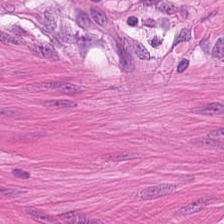Stain: H&E-stained tissue section.
Tissue type: smooth muscle.
